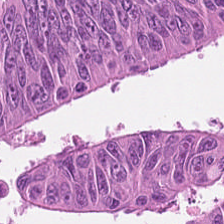Hematoxylin and eosin · 0.5 µm per pixel · brightfield microscopy. Predominantly malignant epithelium.
